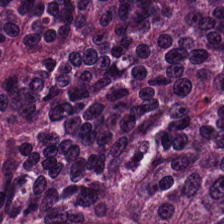0.5 µm per pixel. H&E.
Q: What tissue is shown?
A: It is colorectal adenocarcinoma epithelium.
